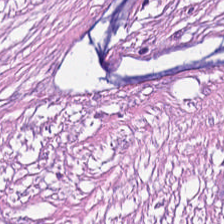Hematoxylin and eosin — Impression — desmoplastic stroma.
